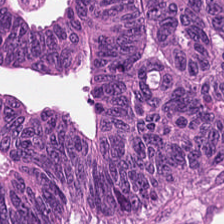0.5 microns per pixel; hematoxylin and eosin; FFPE tissue section — Finding — colorectal adenocarcinoma.
